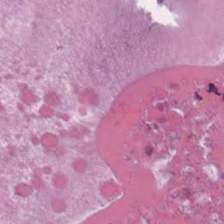WSI patch · hematoxylin and eosin · FFPE tissue section.
Showing debris.
